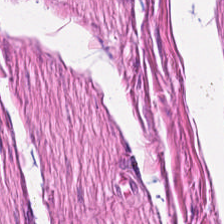224×224 px patch. H&E stain — Impression — muscularis.
